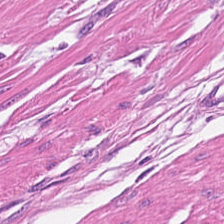This field is smooth muscle.
